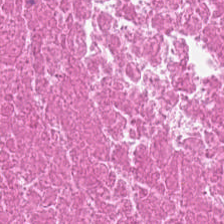H&E stain — Predominant tissue = cellular debris.
